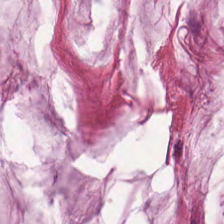H&E-stained tissue section. Showing extracellular mucin.
